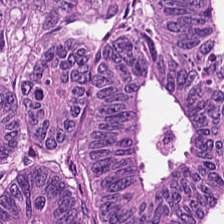Q: Identify the tissue.
A: It is tumor epithelium.
